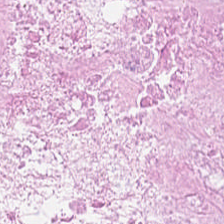H&E stain. Predominantly debris.
